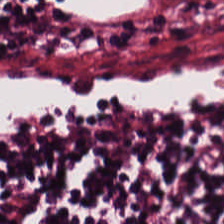H&E stain · 224×224 pixel tile.
The predominant tissue is lymphoid infiltrate.
